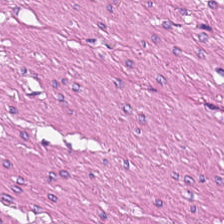Hematoxylin and eosin. This field is smooth muscle.
